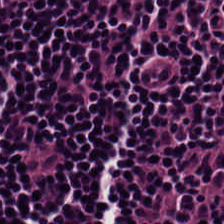0.5 µm/px · H&E-stained tissue section. Q: What does this patch show?
A: The field shows lymphoid infiltrate.
